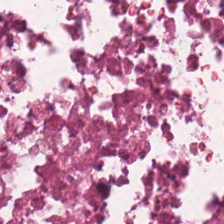Formalin-fixed paraffin-embedded section. H&E. The tissue here is cellular debris.
